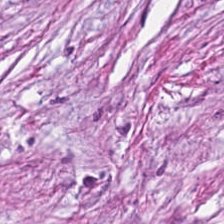H&E — Tissue type = desmoplastic stroma.
